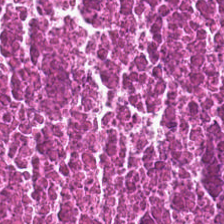Hematoxylin-and-eosin stained section. The predominant tissue is cellular debris.
